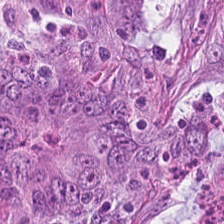Hematoxylin-and-eosin stained section · 224×224 px tile · FFPE. This patch shows colorectal adenocarcinoma epithelium.
